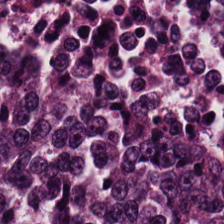Hematoxylin-and-eosin stained section — The tissue here is colorectal adenocarcinoma.
